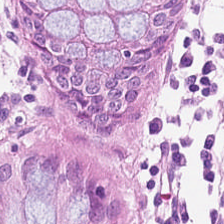WSI patch; H&E-stained tissue section. Q: Identify the tissue.
A: The field shows normal colonic mucosa.
